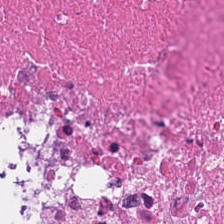Hematoxylin-and-eosin stained section — This patch shows necrotic debris.
